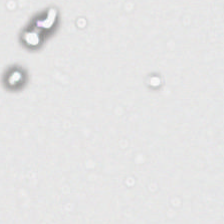H&E-stained tissue section.
Q: Classify this patch.
A: It is background.
